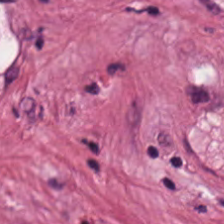Stain: H&E.
Tissue class: desmoplastic stroma.
